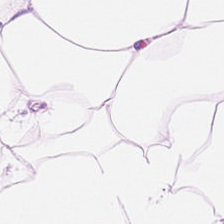H&E. Q: What is shown in this field?
A: The field shows adipocytes.
